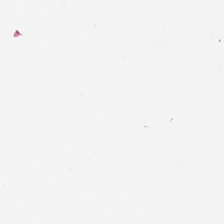0.5 µm per pixel; whole-slide-image patch; hematoxylin-and-eosin stained section.
Histology → no tissue.
